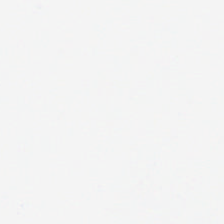H&E.
{"content": "no tissue"}
